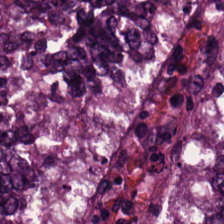224×224 pixel tile. H&E stain. Brightfield microscopy — Predominant tissue = malignant epithelium.
